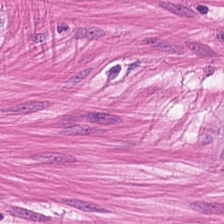Stain: H&E.
Classification: smooth-muscle tissue.
